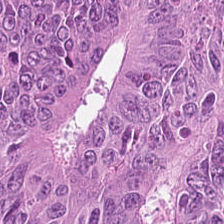This field is colorectal adenocarcinoma.
